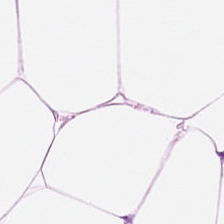H&E · FFPE tissue section.
This patch shows adipose.
